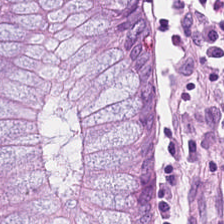Hematoxylin and eosin.
Showing normal colonic mucosa.
